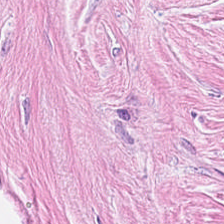H&E-stained tissue section. Predominantly cancer-associated stroma.
